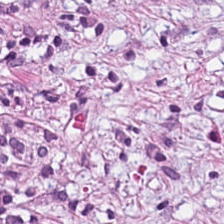H&E-stained tissue section showing tumor-associated stroma.
